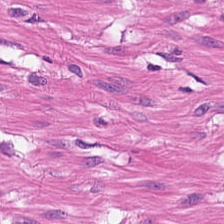Impression — muscularis.
